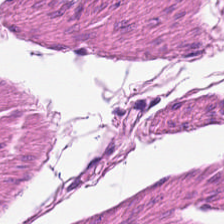H&E — smooth-muscle tissue.
